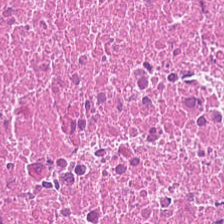H&E-stained tissue section.
Tissue type = necrotic debris.
